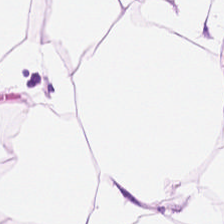20× equivalent magnification; brightfield; hematoxylin and eosin.
Fat tissue.
